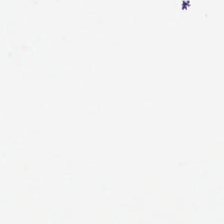Q: What does this patch show?
A: Background.
